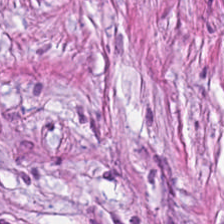Tumor-associated stroma.
